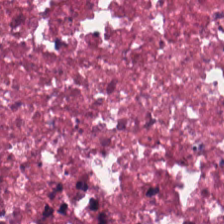Q: What is shown in this field?
A: The field shows cellular debris.
